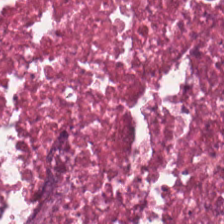0.5 µm/px; H&E-stained tissue section; 224×224 pixel tile.
Predominant tissue — debris.
